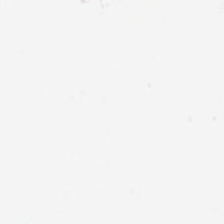Finding → empty background.
